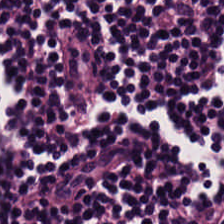FFPE; H&E-stained tissue section. Q: What is shown in this field?
A: Lymphocyte aggregate.
